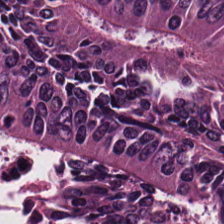H&E.
This field is colorectal adenocarcinoma.
